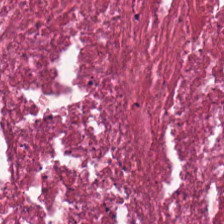H&E-stained tissue section. Q: What is shown in this field?
A: The field shows debris.
